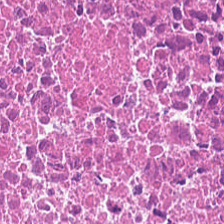Hematoxylin and eosin. This patch shows debris.
